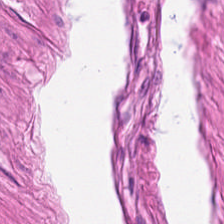Hematoxylin and eosin — Impression — smooth-muscle tissue.
